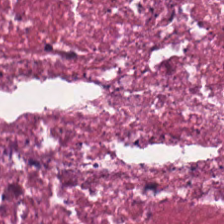H&E — Showing debris.
